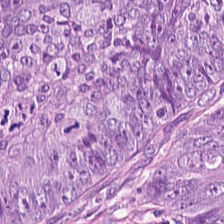Hematoxylin and eosin · 224×224 pixel tile.
Classification = malignant epithelium.
